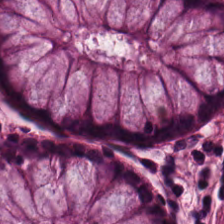Brightfield · H&E-stained tissue section — {"tissue_type": "benign colonic mucosa"}
